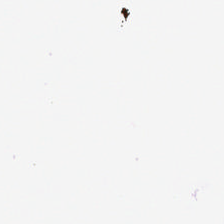0.5 µm per pixel; formalin-fixed paraffin-embedded section; H&E stain — {"content": "background (no tissue)"}
